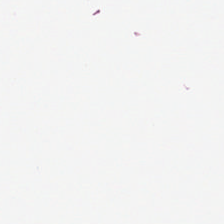224×224 pixel tile · H&E stain · formalin-fixed paraffin-embedded section. Classification — background.
